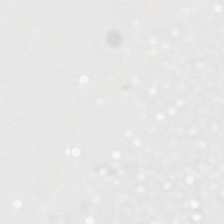224×224 px patch; H&E stain — Field content = empty background.
